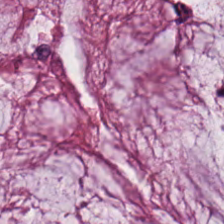This patch shows mucin.
